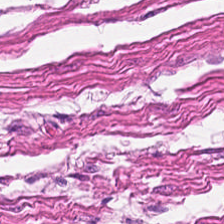Hematoxylin and eosin. The tissue class is smooth muscle.
